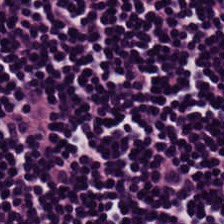Hematoxylin and eosin. Lymphocyte aggregate.
